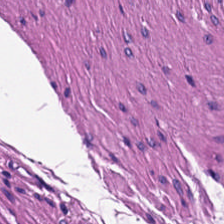H&E stain. The tissue here is smooth muscle.
